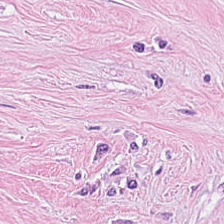This field is cancer-associated stroma.
